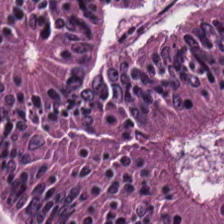H&E. The predominant tissue is malignant epithelium.
